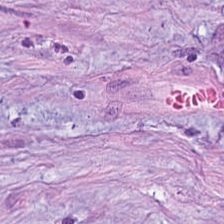Q: What type of tissue is this?
A: This is desmoplastic stroma.
